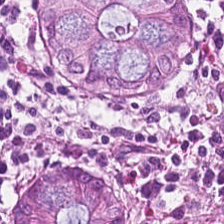H&E stain — This field is non-neoplastic colon mucosa.
